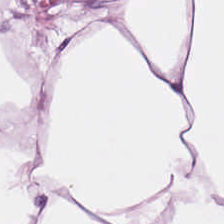H&E — fat tissue.
